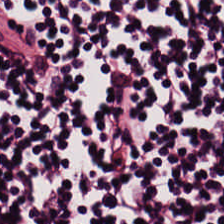The classification is lymphocyte aggregate.
